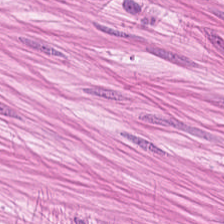H&E stain. FFPE — Predominantly smooth muscle.
